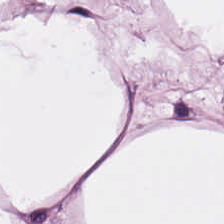H&E. The predominant tissue is adipose.
